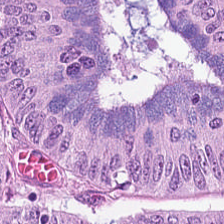Hematoxylin-and-eosin stained section. Tissue class: malignant epithelium.
